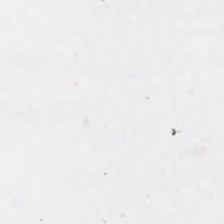H&E-stained tissue section. FFPE.
Field content: background.
